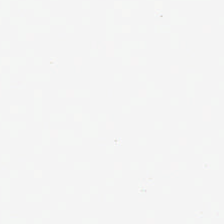FFPE; H&E-stained tissue section.
Q: What does this patch show?
A: This is empty background.
